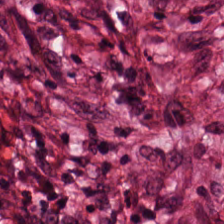Hematoxylin-and-eosin stained section. 224×224 px patch. Whole-slide-image patch.
This patch shows desmoplastic stroma.
